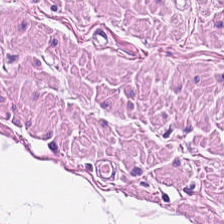Tissue: smooth muscle.
